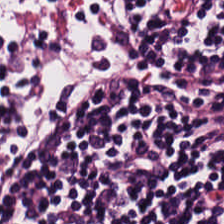Hematoxylin-and-eosin stained section.
Tissue type — lymphocytes.
